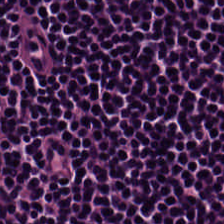Stain: H&E-stained tissue section.
Tissue type: lymphocyte aggregate.
